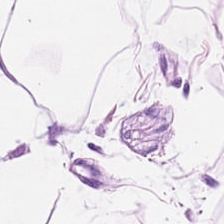H&E-stained tissue section · 224×224 pixel tile.
Tissue class — adipocytes.
